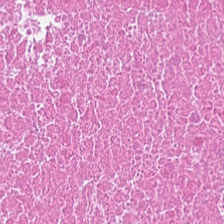H&E-stained tissue section.
Histology → necrotic debris.
